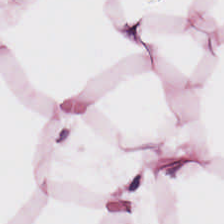{"tissue_type": "adipocytes"}
